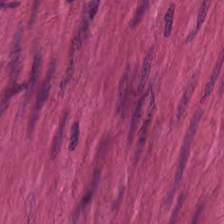Q: What tissue is shown?
A: This is smooth-muscle tissue.
